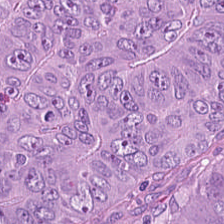Hematoxylin and eosin · 224×224 pixel tile · 0.5 µm per pixel. Q: What is shown here?
A: This is malignant epithelium.
